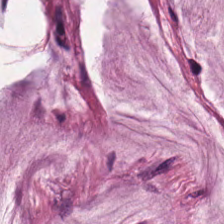H&E stain · 0.5 microns per pixel. The classification is mucin.
